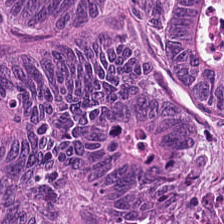Hematoxylin and eosin — Tissue = colorectal adenocarcinoma epithelium.
